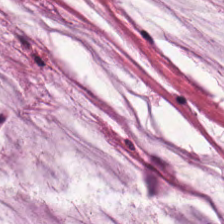Hematoxylin and eosin; 0.5 µm/px — Finding — mucus.
